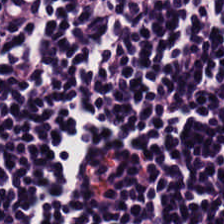H&E-stained tissue section.
Impression — lymphocyte aggregate.
